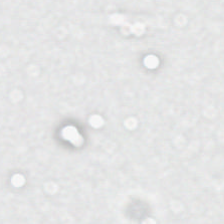Hematoxylin and eosin — This field is background (no tissue).
